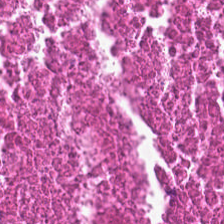Brightfield microscopy · formalin-fixed paraffin-embedded section · H&E-stained tissue section. Tissue class: cellular debris.
